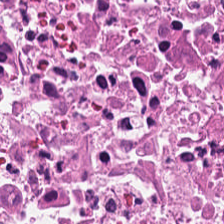Hematoxylin and eosin — Tissue = cellular debris.
